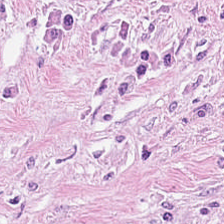H&E stain · formalin-fixed paraffin-embedded section — Tissue: cancer-associated stroma.
